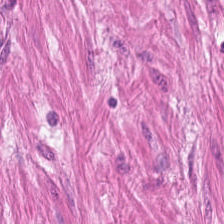H&E-stained tissue section.
Classification: smooth muscle.
